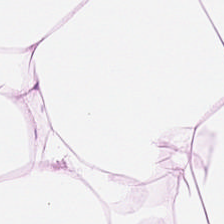Hematoxylin and eosin. FFPE. 0.5 microns per pixel. Q: What is shown here?
A: This is adipocytes.
